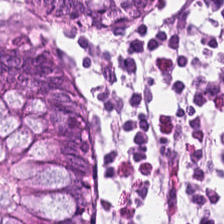H&E stain. Q: What is shown here?
A: This is normal colonic mucosa.
